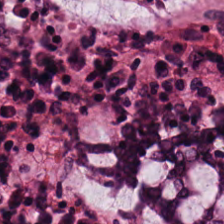FFPE tissue section; 0.5 µm/px; hematoxylin-and-eosin stained section. {"tissue_type": "non-neoplastic colon mucosa"}
